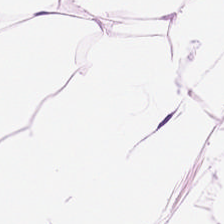Brightfield. 0.5 µm/px. Hematoxylin-and-eosin stained section.
Classification — adipose.
